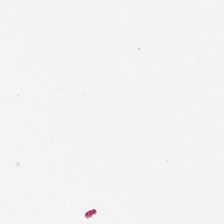Finding — no tissue.
